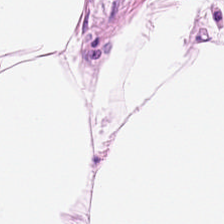Stain: hematoxylin and eosin.
Preparation: FFPE.
Predominant tissue: adipose tissue.
